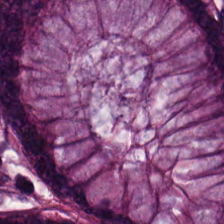20× equivalent magnification; hematoxylin and eosin; 224×224 px tile. Tissue type = benign colonic mucosa.
